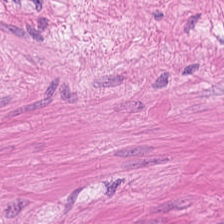Hematoxylin-and-eosin stained section. 224×224 px patch. Predominantly smooth-muscle tissue.
